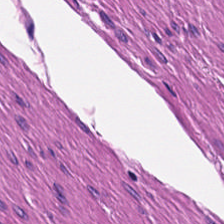20× equivalent magnification. Brightfield. Hematoxylin and eosin — Predominant tissue — muscularis.
